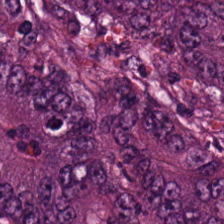H&E stain.
Finding → colorectal adenocarcinoma epithelium.
